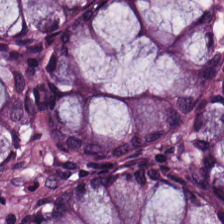Stain: H&E.
Resolution: 0.5 µm per pixel.
Preparation: FFPE.
Tissue: normal colonic mucosa.
